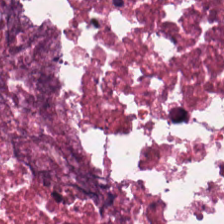H&E stain.
{"tissue_type": "necrotic debris"}
